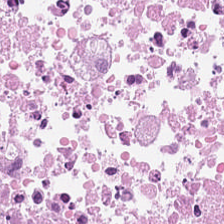Hematoxylin-and-eosin stained section. The tissue here is cellular debris.
